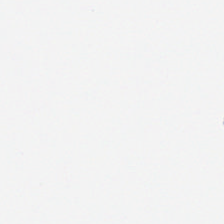Stain: H&E-stained tissue section.
Content: background (no tissue).
